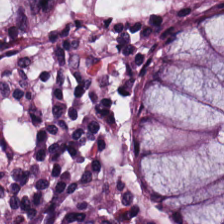Non-neoplastic colon mucosa.
